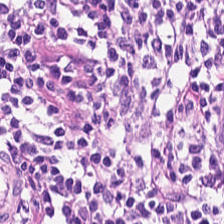H&E. This patch shows lymphocytes.
